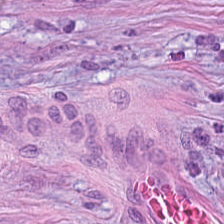Hematoxylin-and-eosin section: desmoplastic stroma.
